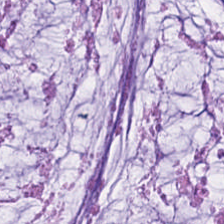H&E-stained tissue section · brightfield. Showing mucus.
